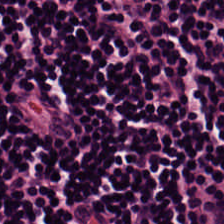H&E stain.
Tissue class = lymphocyte aggregate.
